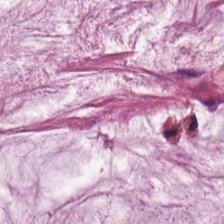224×224 px patch · H&E · 0.5 µm/px. Impression → mucin.
